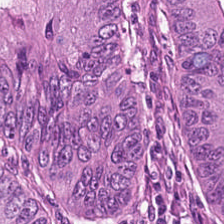Stain: H&E-stained tissue section.
Tissue type: adenocarcinoma.
